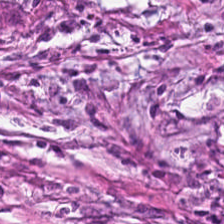This field is tumor-associated stroma.
